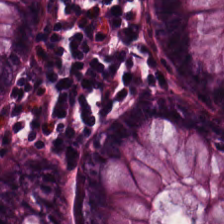224×224 px tile · hematoxylin-and-eosin stained section. Q: What tissue type is shown here?
A: Benign colonic mucosa.
